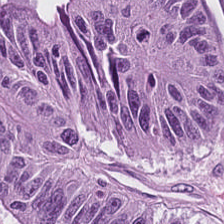H&E stain.
This patch shows colorectal adenocarcinoma epithelium.
